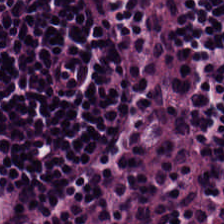0.5 µm per pixel · H&E — {"tissue_type": "lymphocytic infiltrate"}
